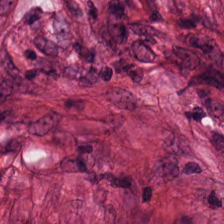Tumor stroma.
